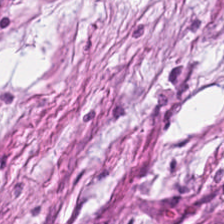FFPE; 224×224 pixel tile; hematoxylin-and-eosin stained section. Q: What does this patch show?
A: Cancer-associated stroma.
